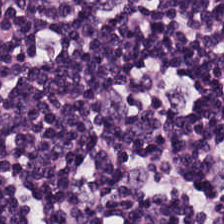Whole-slide-image patch. Hematoxylin and eosin.
This patch shows lymphocytic infiltrate.
